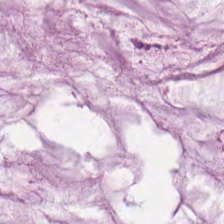H&E stain. Q: What is the predominant tissue type?
A: This is mucin.
